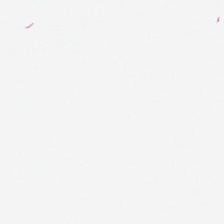H&E-stained tissue section.
Field content: background.
